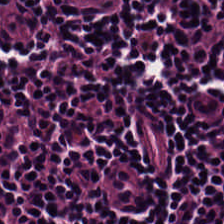WSI patch · H&E stain · 0.5 microns per pixel — Tissue class: lymphoid infiltrate.
